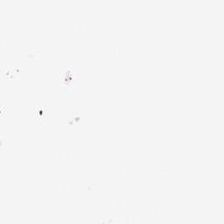Hematoxylin-and-eosin stained section. WSI patch — {"content": "empty background"}
